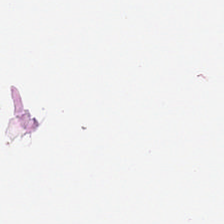Stain: hematoxylin and eosin.
Content: no tissue.
